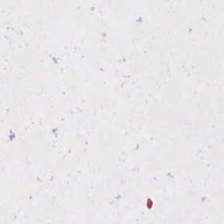H&E-stained tissue section.
This patch shows background (no tissue).
